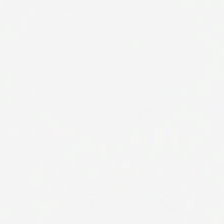224×224 pixel tile. Hematoxylin-and-eosin stained section. This field is background (no tissue).
